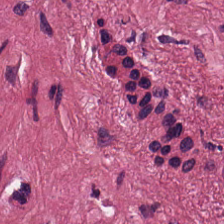H&E.
The tissue here is tumor stroma.
